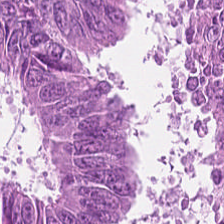Hematoxylin and eosin. This patch shows colorectal adenocarcinoma.
